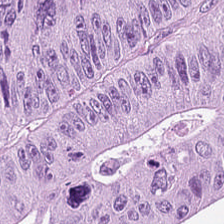The predominant tissue is colorectal adenocarcinoma.
